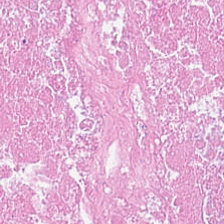Hematoxylin-and-eosin stained section — Finding — debris.
